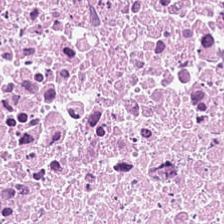H&E. The tissue here is debris.
